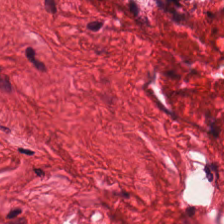H&E-stained tissue section — Predominantly muscularis.
